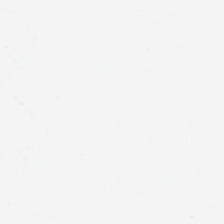FFPE · brightfield · H&E. Content: background (no tissue).
